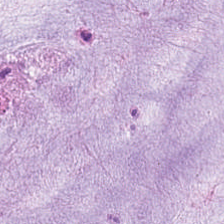H&E; formalin-fixed paraffin-embedded section; 224×224 px patch — Impression — mucin.
